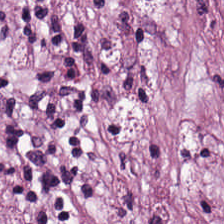Hematoxylin-and-eosin stained section · brightfield — The tissue here is desmoplastic stroma.
